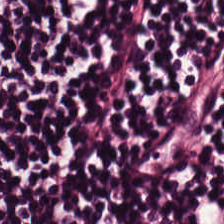20× equivalent magnification; formalin-fixed paraffin-embedded section; hematoxylin-and-eosin stained section. Classification = lymphocytic infiltrate.
